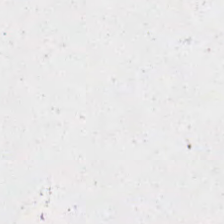H&E-stained tissue section; brightfield microscopy — This field is background (no tissue).
